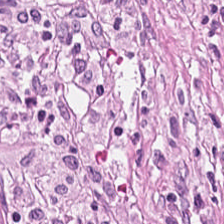Hematoxylin and eosin — This field is cancer-associated stroma.
